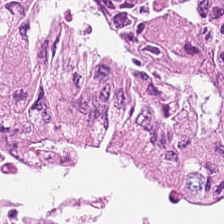H&E-stained tissue section — This patch shows malignant epithelium.
